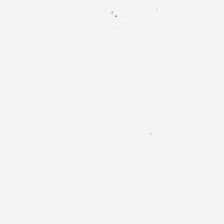H&E. No tissue present; background only.
